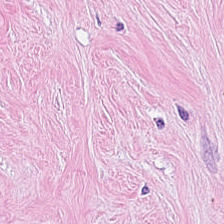H&E.
Impression — cancer-associated stroma.
